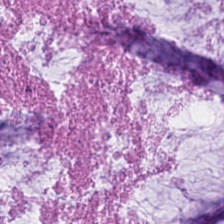{"tissue_type": "extracellular mucin"}
